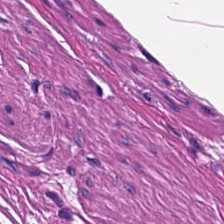Q: What tissue type is shown here?
A: The field shows smooth-muscle tissue.
